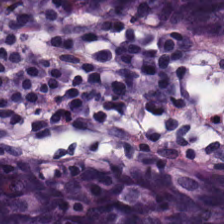Hematoxylin-and-eosin stained section; FFPE — This patch shows benign colonic mucosa.
